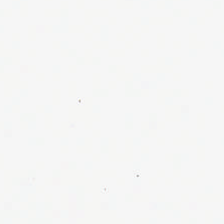224×224 pixel tile; hematoxylin and eosin; 0.5 µm per pixel.
No tissue present; background only.
